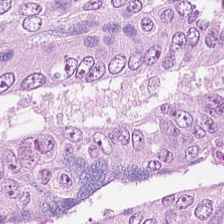Stain: H&E-stained tissue section.
Tissue: tumor epithelium.
